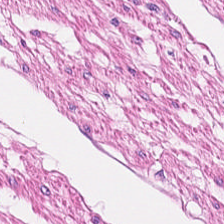Tissue class = smooth muscle.
